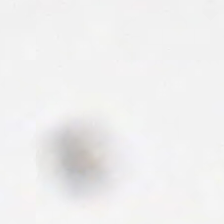224×224 px patch. H&E. Formalin-fixed paraffin-embedded section — This patch shows empty background.
